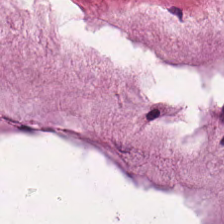Hematoxylin and eosin · brightfield. Extracellular mucin.
